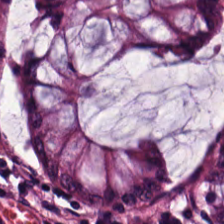Hematoxylin and eosin.
Q: What tissue type is shown here?
A: The field shows normal colonic mucosa.
